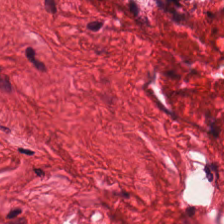Stain: H&E-stained tissue section.
Tissue class: smooth muscle.
